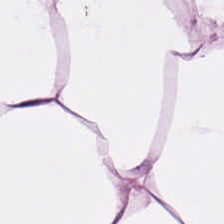Stain: H&E.
Acquisition: brightfield.
Tissue class: fat tissue.
